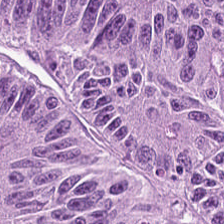Whole-slide-image patch · H&E-stained tissue section.
{"tissue_type": "colorectal adenocarcinoma"}
